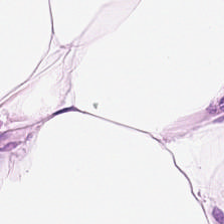Stain: hematoxylin and eosin.
Preparation: formalin-fixed paraffin-embedded section.
Tissue class: adipose.
